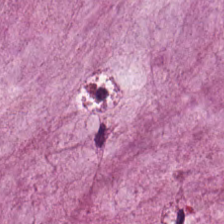Brightfield; H&E — The tissue is mucin.
